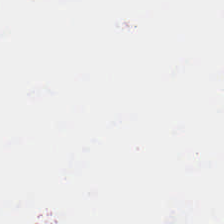H&E — Classification — empty background.
